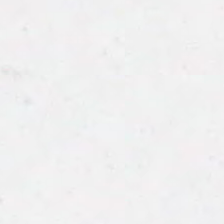Stain: hematoxylin and eosin.
Preparation: formalin-fixed paraffin-embedded section.
Classification: no tissue.
